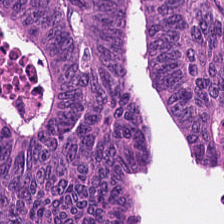Brightfield · hematoxylin and eosin · 224×224 pixel tile. Q: Identify the tissue.
A: Colorectal adenocarcinoma epithelium.
